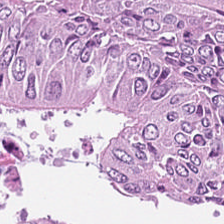224×224 px patch; H&E stain.
This patch shows adenocarcinoma.
